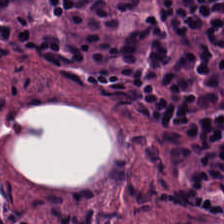FFPE tissue section; hematoxylin and eosin — The predominant tissue is lymphocytes.
